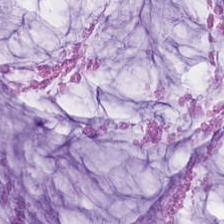Stain: hematoxylin and eosin.
Resolution: 20× equivalent magnification.
Tissue type: mucin.
